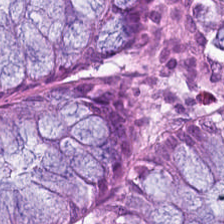H&E-stained tissue section. Tissue type = benign colonic mucosa.
